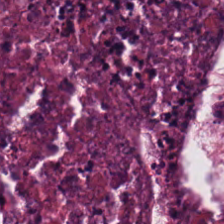Formalin-fixed paraffin-embedded section; H&E stain. Tissue — cellular debris.
